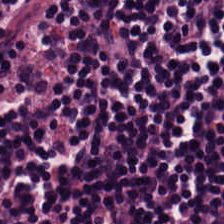H&E-stained tissue section · brightfield. The tissue type is lymphoid infiltrate.
